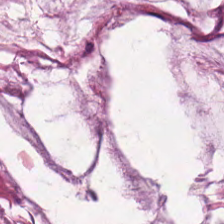224×224 pixel tile; H&E — Tissue type: mucin.
